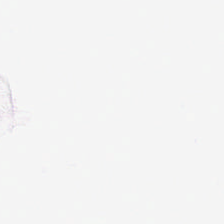Stain: H&E.
Tile size: 224×224 px tile.
Acquisition: whole-slide-image patch.
Field content: empty background.
